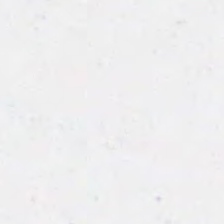H&E-stained tissue section · 224×224 pixel tile. Q: Classify this patch.
A: It is background.
